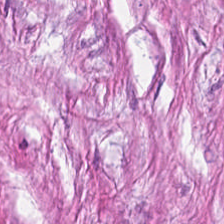Stain: H&E-stained tissue section.
Predominant tissue: tumor-associated stroma.
